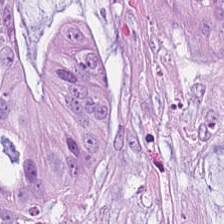Formalin-fixed paraffin-embedded section · 224×224 pixel tile · H&E. Tissue type = mucus.
